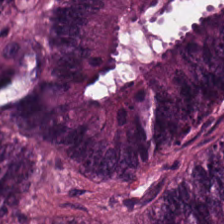Hematoxylin-and-eosin stained section. Impression → colorectal adenocarcinoma.
